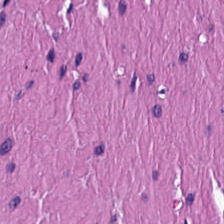H&E — The tissue here is muscularis.
